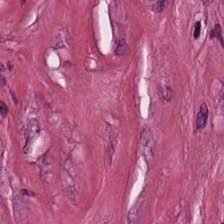H&E — Tumor-associated stroma.
